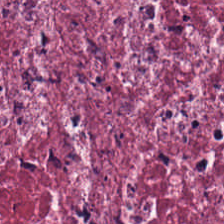H&E stain. Tissue type = desmoplastic stroma.
